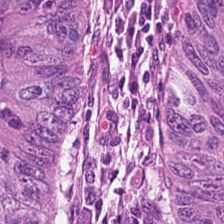Whole-slide-image patch. H&E stain — The predominant tissue is tumor epithelium.
